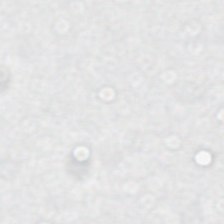Empty field — empty background.
